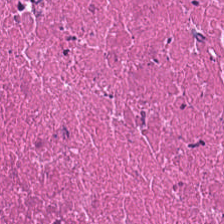0.5 µm/px · brightfield · hematoxylin-and-eosin stained section — The tissue here is debris.
